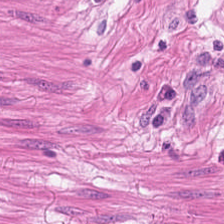Predominantly smooth-muscle tissue.
